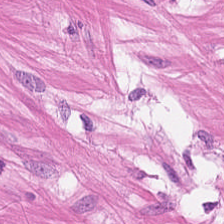Brightfield; H&E-stained tissue section.
Q: What is shown in this field?
A: This is smooth-muscle tissue.
